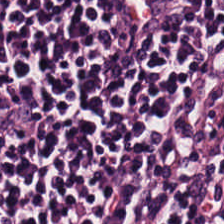{"tissue_type": "lymphocytes"}
